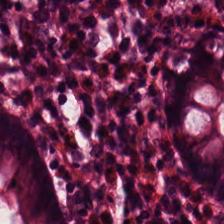H&E stain.
Classification — normal colon mucosa.
